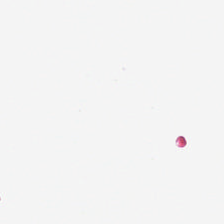Q: What is shown here?
A: No tissue.
